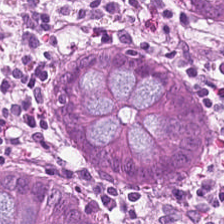Stain: H&E-stained tissue section.
Tissue type: non-neoplastic colon mucosa.
